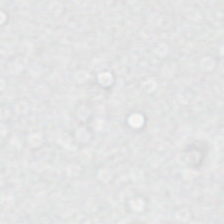H&E stain.
Histology — empty background.
